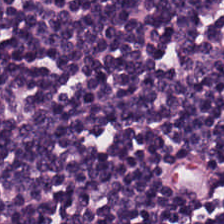Stain: hematoxylin-and-eosin stained section.
Resolution: 0.5 microns per pixel.
Tissue type: lymphocytes.
